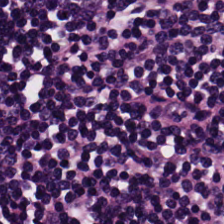H&E stain. 224×224 px patch. Formalin-fixed paraffin-embedded section. The predominant tissue is lymphoid infiltrate.
